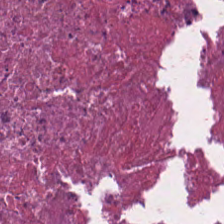Hematoxylin and eosin.
This field is necrotic debris.
